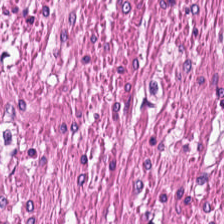Hematoxylin-and-eosin stained section.
This field is smooth muscle.
